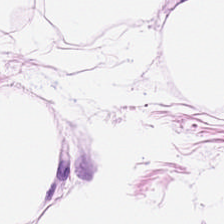Predominantly adipose tissue.
